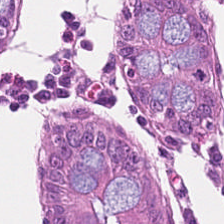H&E.
Q: What tissue is shown?
A: Normal colon mucosa.
